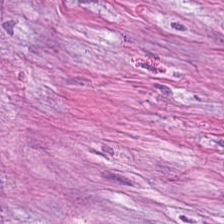Hematoxylin and eosin — The predominant tissue is tumor-associated stroma.
